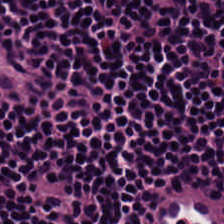H&E-stained tissue section showing lymphoid infiltrate.
